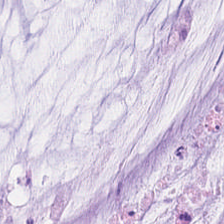Stain: H&E stain.
Tissue class: mucin.
